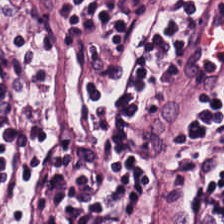This field is lymphocyte aggregate.
